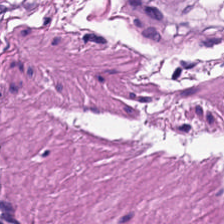This field is smooth muscle.
